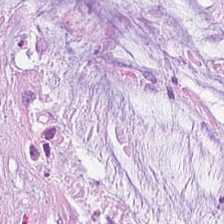Stain: hematoxylin and eosin.
Preparation: FFPE tissue section.
Predominant tissue: extracellular mucin.
